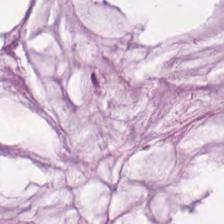224×224 px tile; H&E stain; brightfield — The predominant tissue is extracellular mucin.
